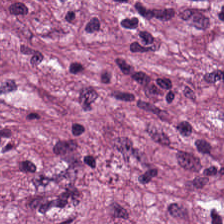H&E-stained section; the field shows desmoplastic stroma.
